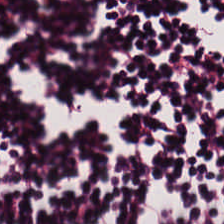Impression → lymphoid infiltrate.
